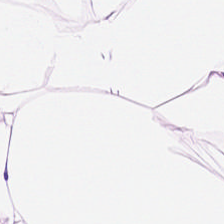H&E · 224×224 px tile. Adipose.
